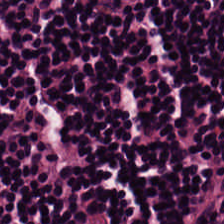H&E stain; WSI patch — Tissue type — lymphocytes.
